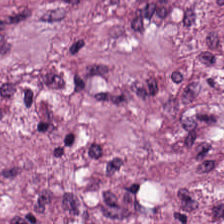This field is cancer-associated stroma.
